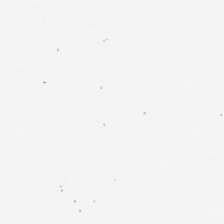Hematoxylin-and-eosin stained section · formalin-fixed paraffin-embedded section — Content = no tissue.
